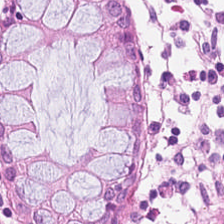Hematoxylin-and-eosin stained section.
This patch shows benign colonic mucosa.
